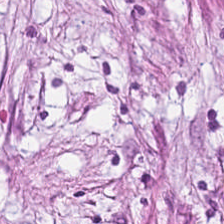H&E-stained tissue section · 224×224 px patch. Predominantly desmoplastic stroma.
